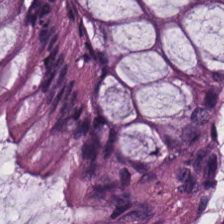0.5 µm/px; hematoxylin and eosin — The predominant tissue is normal colonic mucosa.
